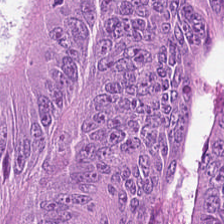H&E-stained tissue section. Finding → colorectal adenocarcinoma.
